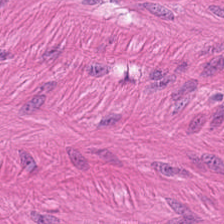Hematoxylin and eosin; FFPE; brightfield microscopy — Tissue type: muscularis.
